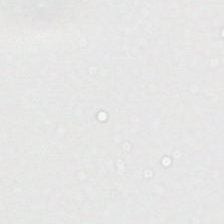224×224 px tile; hematoxylin-and-eosin stained section — Empty field — empty background.
